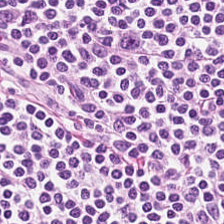H&E — Tissue type — lymphoid infiltrate.
